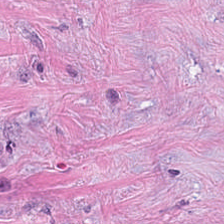Stain: H&E-stained tissue section.
Tissue type: tumor-associated stroma.
